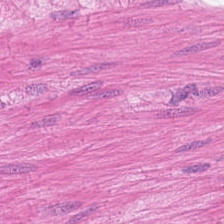Tissue — smooth muscle.
